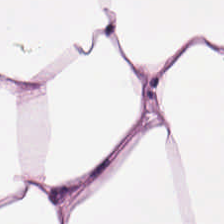H&E-stained tissue section.
The tissue is fat tissue.
